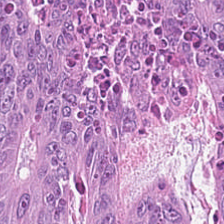This field is tumor epithelium.
